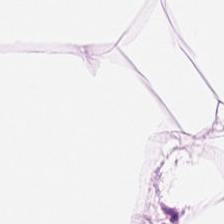Brightfield; H&E-stained tissue section. Classification: adipose.
